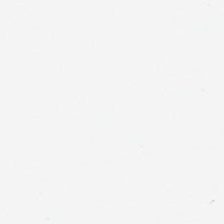Stain: hematoxylin and eosin.
Preparation: formalin-fixed paraffin-embedded section.
Acquisition: brightfield microscopy.
Field content: background (no tissue).
